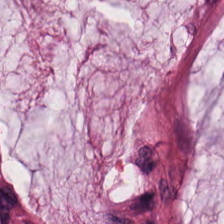Tissue class = mucin.
